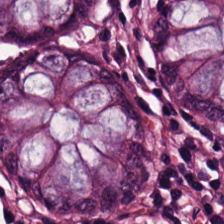H&E stain. Showing benign colonic mucosa.
